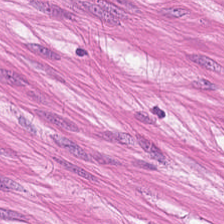Brightfield · 0.5 µm per pixel · hematoxylin and eosin — This patch shows muscularis.
